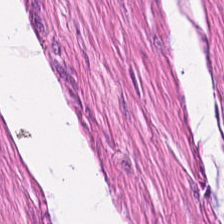H&E stain — {"tissue_type": "smooth-muscle tissue"}
